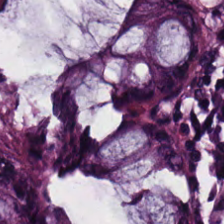Hematoxylin-and-eosin section: benign colonic mucosa.
